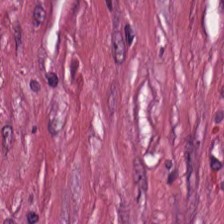H&E-stained tissue section — The predominant tissue is desmoplastic stroma.
